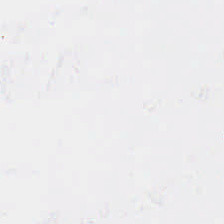Empty background.
